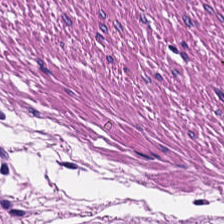H&E. Smooth-muscle tissue.
